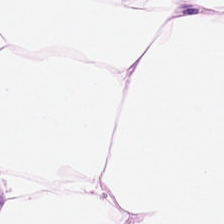H&E stain. 224×224 px tile. Formalin-fixed paraffin-embedded section — Fat tissue.
